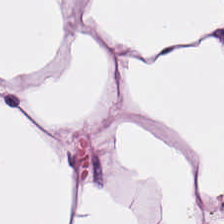Hematoxylin-and-eosin stained section. The tissue class is adipose.
